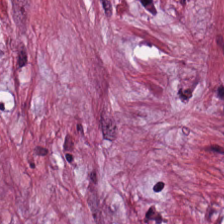H&E; whole-slide-image patch; formalin-fixed paraffin-embedded section.
The tissue here is cancer-associated stroma.
